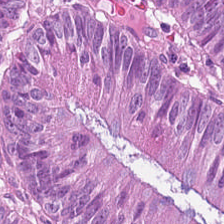H&E-stained tissue section.
The tissue here is colorectal adenocarcinoma.
